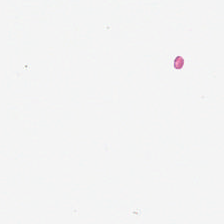Hematoxylin-and-eosin stained section · 224×224 px patch.
This field is background (no tissue).
